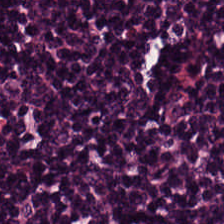H&E-stained section; the field shows lymphocytic infiltrate.
